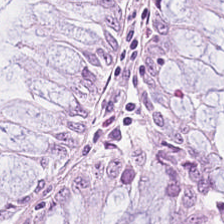224×224 px patch. Hematoxylin-and-eosin stained section. Formalin-fixed paraffin-embedded section.
Tissue type = non-neoplastic colon mucosa.
